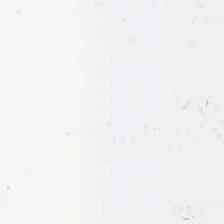Hematoxylin-and-eosin stained section.
Q: What is shown in this field?
A: This is background (no tissue).
